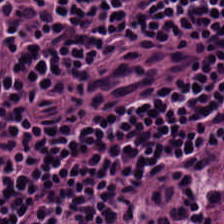Stain: H&E stain.
Tile size: 224×224 pixel tile.
Tissue type: lymphocyte aggregate.
